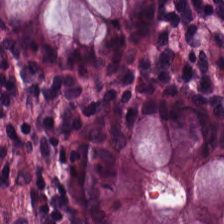Tissue class: non-neoplastic colon mucosa.
